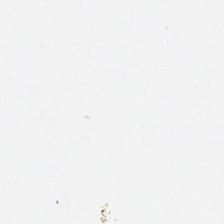Hematoxylin and eosin.
Background — no tissue in this field.
